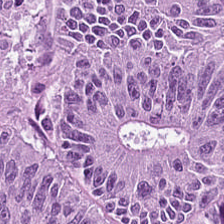Hematoxylin-and-eosin stained section — This field is colorectal adenocarcinoma epithelium.
